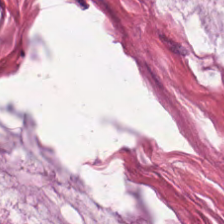20× equivalent magnification; WSI patch; hematoxylin and eosin. The tissue type is extracellular mucin.
